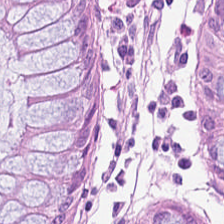Q: Classify this patch.
A: It is benign colonic mucosa.
